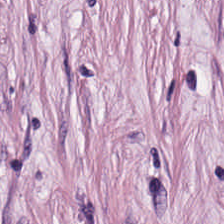0.5 µm per pixel; 224×224 px tile; H&E stain. Tumor stroma.
